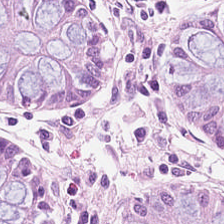Stain: H&E.
Predominant tissue: benign colonic mucosa.
